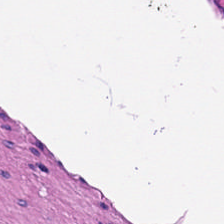Hematoxylin and eosin; FFPE — Finding → muscularis.
